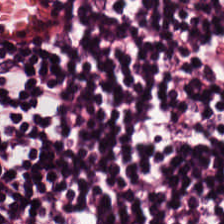Hematoxylin-and-eosin section: lymphocytic infiltrate.
